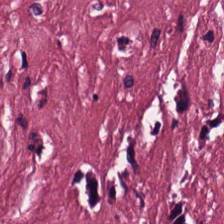Stain: H&E-stained tissue section.
Tissue class: tumor stroma.
